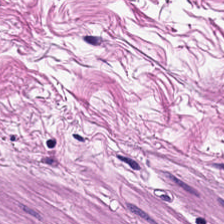Tissue: smooth-muscle tissue.
